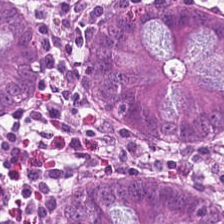0.5 µm/px. FFPE. Hematoxylin-and-eosin stained section — The tissue here is normal colonic mucosa.
